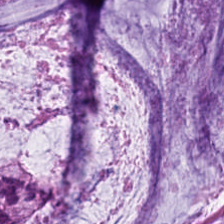Whole-slide-image patch; H&E-stained tissue section. Q: What is the predominant tissue type?
A: This is extracellular mucin.
